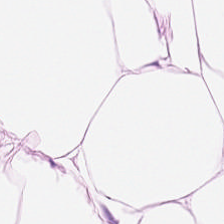Hematoxylin and eosin · 224×224 px patch.
Q: What type of tissue is this?
A: This is adipocytes.
